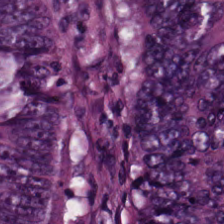0.5 microns per pixel · hematoxylin-and-eosin stained section · FFPE. The tissue class is adenocarcinoma.
